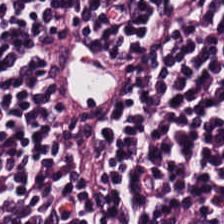0.5 µm per pixel. Hematoxylin-and-eosin stained section — Showing lymphocyte aggregate.
